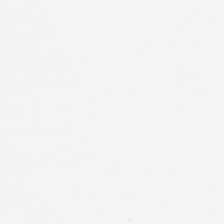Field content: empty background.
